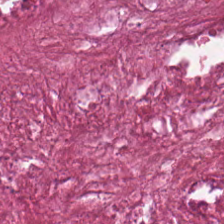H&E. Brightfield. FFPE tissue section.
This patch shows necrotic debris.
